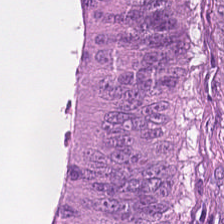0.5 µm per pixel · H&E stain · brightfield. Tissue class: tumor epithelium.
